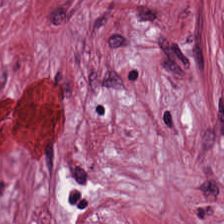Hematoxylin and eosin — The tissue here is desmoplastic stroma.
